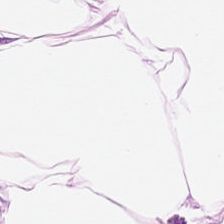Stain: hematoxylin-and-eosin stained section.
Classification: adipose tissue.
